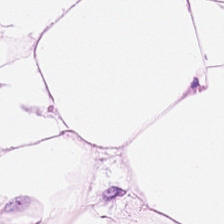H&E stain · formalin-fixed paraffin-embedded section.
Predominant tissue: adipocytes.
